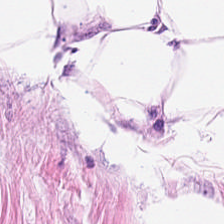0.5 µm/px · WSI patch · H&E stain — Showing adipose tissue.
